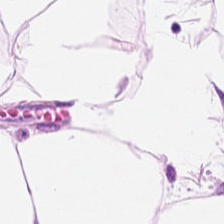H&E-stained tissue section. Predominant tissue: fat tissue.
